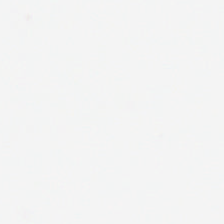Stain: hematoxylin and eosin.
Field content: background (no tissue).
